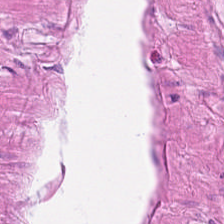H&E stain · FFPE tissue section. Q: What tissue is shown?
A: Muscularis.
